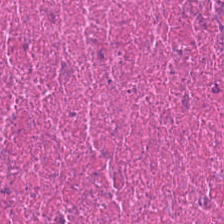Predominant tissue — cellular debris.
